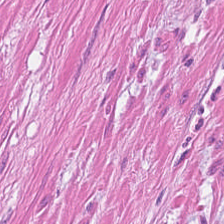0.5 microns per pixel. H&E-stained tissue section — Finding → smooth muscle.
